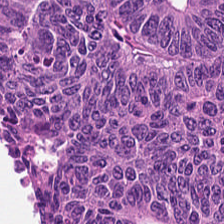H&E-stained tissue section.
The tissue here is colorectal adenocarcinoma.
